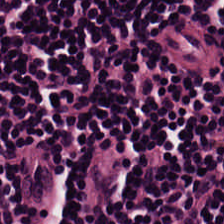{"tissue_type": "lymphocyte aggregate"}
